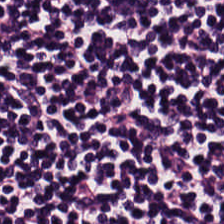Hematoxylin-and-eosin stained section.
This field is lymphoid infiltrate.
